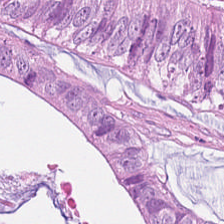224×224 px tile. Hematoxylin and eosin.
This patch shows tumor epithelium.
